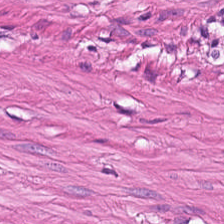Hematoxylin and eosin. Brightfield. 224×224 pixel tile — Q: What tissue type is shown here?
A: The field shows smooth muscle.
